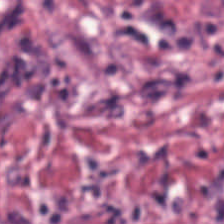Tissue: tumor-associated stroma.
